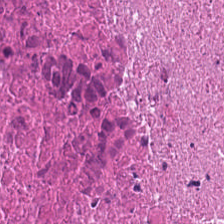H&E stain.
The predominant tissue is necrotic debris.
